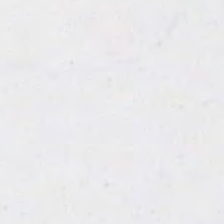Empty field — background (no tissue).
